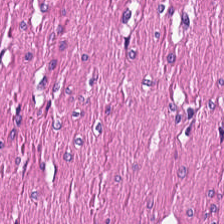The predominant tissue is muscularis.
